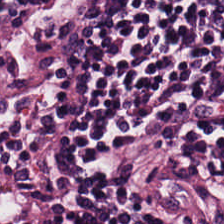Q: What tissue type is shown here?
A: The field shows lymphocytes.
